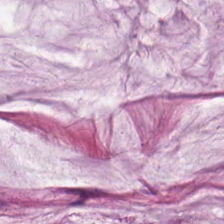Formalin-fixed paraffin-embedded section · hematoxylin and eosin · 224×224 pixel tile. Extracellular mucin.
